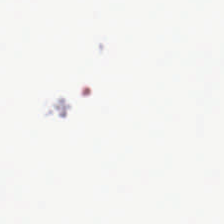H&E stain · 0.5 microns per pixel. This field is background (no tissue).
